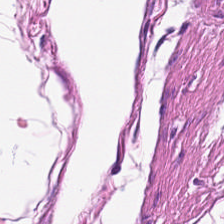Hematoxylin and eosin — This field is smooth-muscle tissue.
